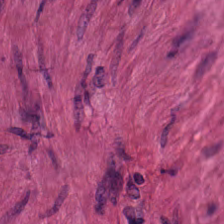H&E. This field is smooth muscle.
